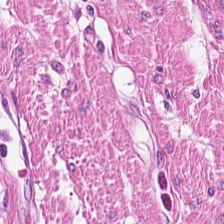Stain: H&E-stained tissue section.
Resolution: 20× equivalent magnification.
Acquisition: WSI patch.
Predominant tissue: muscularis.
